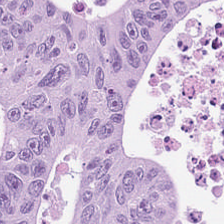H&E-stained tissue section · brightfield — Q: What type of tissue is this?
A: Colorectal adenocarcinoma epithelium.
